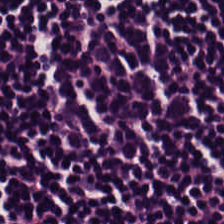0.5 microns per pixel; FFPE tissue section; H&E stain — The predominant tissue is lymphocyte aggregate.
